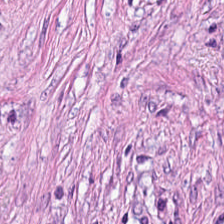H&E stain; 224×224 px tile.
The classification is cancer-associated stroma.
